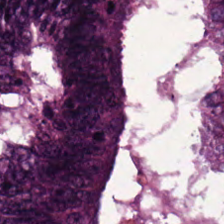Hematoxylin-and-eosin stained section; 224×224 pixel tile.
The classification is colorectal adenocarcinoma.
